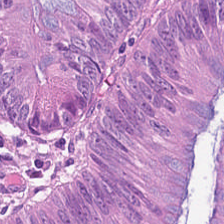Hematoxylin-and-eosin stained section — Impression — tumor epithelium.
